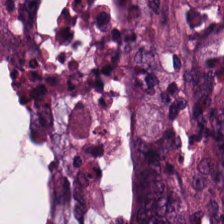H&E-stained tissue section. Q: What type of tissue is this?
A: It is colorectal adenocarcinoma.
